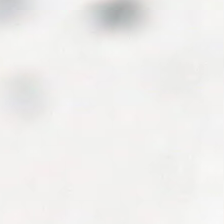H&E-stained tissue section.
Field content = background (no tissue).
